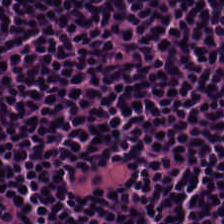H&E — Impression — lymphoid infiltrate.
